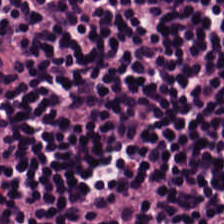Hematoxylin and eosin. 224×224 pixel tile — Q: What does this patch show?
A: This is lymphocyte aggregate.
